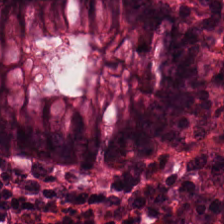H&E. Showing benign colonic mucosa.
